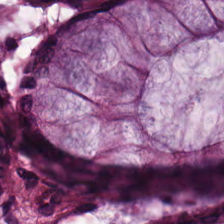FFPE. H&E stain — Q: What tissue is shown?
A: The field shows non-neoplastic colon mucosa.
